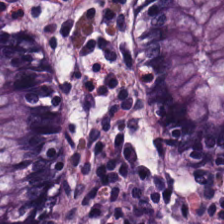Normal colonic mucosa.
